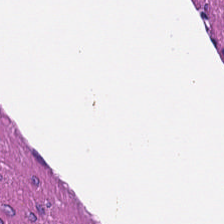Tissue class = muscularis.
